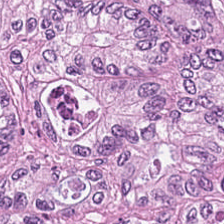H&E-stained tissue section — The predominant tissue is colorectal adenocarcinoma epithelium.
